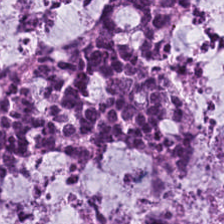H&E. Tissue — mucin.
